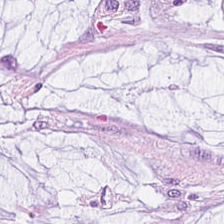{"tissue_type": "mucin"}
